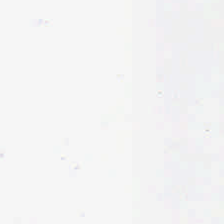Brightfield · 0.5 µm/px · H&E-stained tissue section. Impression → empty background.
